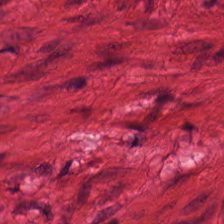H&E; 0.5 µm/px; 224×224 px patch — Classification: smooth muscle.
